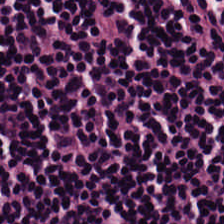Hematoxylin and eosin — The predominant tissue is lymphocytic infiltrate.
